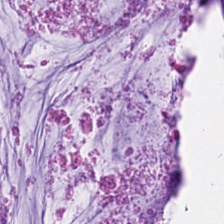224×224 px tile · H&E stain.
Histology — mucin.
